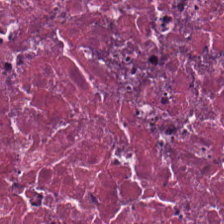Hematoxylin-and-eosin stained section — Classification: necrotic debris.
